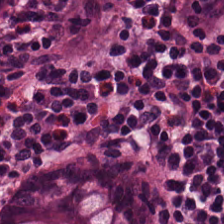Hematoxylin-and-eosin stained section. WSI patch. Predominant tissue — normal colonic mucosa.
